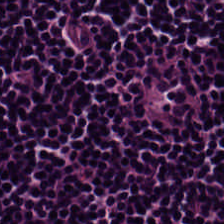Hematoxylin-and-eosin stained section.
Predominant tissue = lymphocytes.
